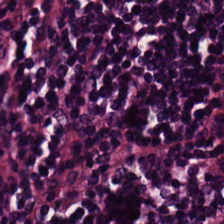H&E; FFPE. Q: Classify this patch.
A: This is lymphocytes.
